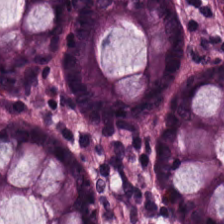H&E stain. {"tissue_type": "benign colonic mucosa"}
